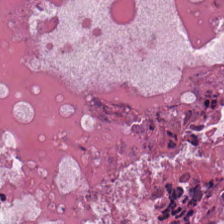H&E-stained tissue section. The predominant tissue is cellular debris.
